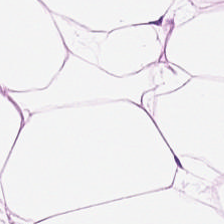Stain: hematoxylin and eosin.
Tissue: adipocytes.
